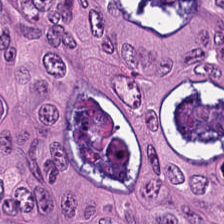Stain: H&E stain.
Tissue class: adenocarcinoma.
